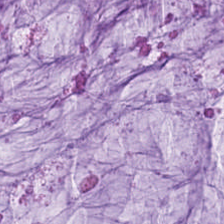H&E. Finding — mucin.
